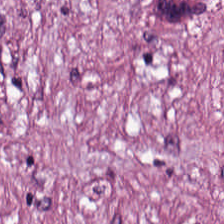Hematoxylin and eosin.
Finding → desmoplastic stroma.
